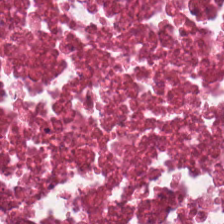Hematoxylin and eosin — Necrotic debris.
